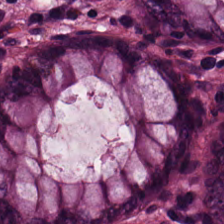H&E-stained tissue section.
Histology → normal colonic mucosa.
